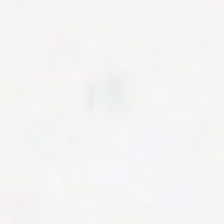H&E stain — Field content — background (no tissue).
